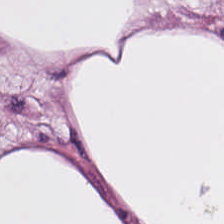Brightfield; hematoxylin and eosin. {"tissue_type": "adipose tissue"}
